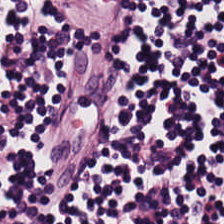{"tissue_type": "lymphocytes"}
